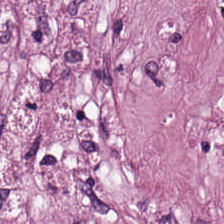H&E — This field is tumor-associated stroma.
